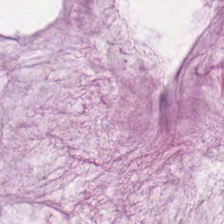H&E. FFPE tissue section.
The predominant tissue is mucin.
